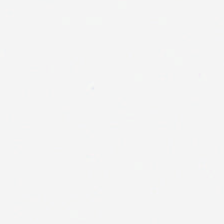H&E-stained tissue section.
Impression → background.
